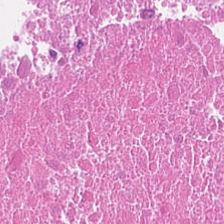H&E-stained tissue section. 0.5 µm per pixel. Q: What tissue type is shown here?
A: The field shows debris.
